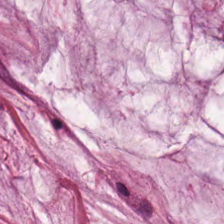Tissue class: mucus.
